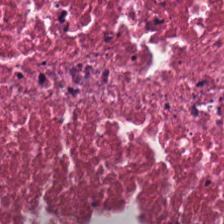H&E. The predominant tissue is cellular debris.
